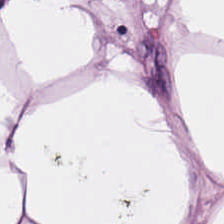Impression — adipocytes.
